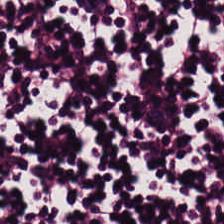H&E-stained tissue section. Tissue type: lymphocyte aggregate.
